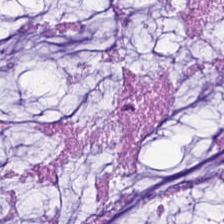Q: What is the predominant tissue type?
A: Mucin.
